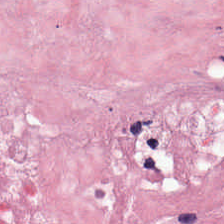H&E. The classification is tumor-associated stroma.
